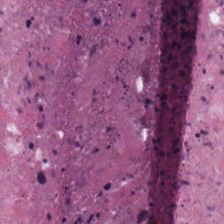Stain: hematoxylin-and-eosin stained section.
Classification: cellular debris.
